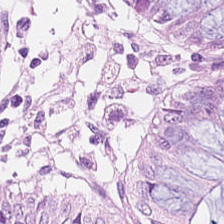FFPE · H&E stain.
The predominant tissue is normal colon mucosa.
